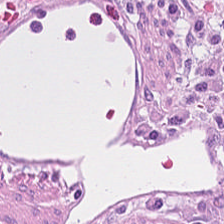H&E-stained tissue section. 224×224 px patch. WSI patch — The tissue class is tumor-associated stroma.
